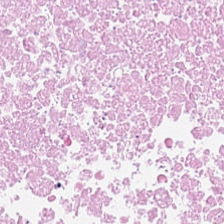H&E-stained tissue section showing necrotic debris.
